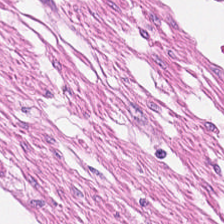H&E stain; 224×224 px patch. Q: What is shown here?
A: Muscularis.
